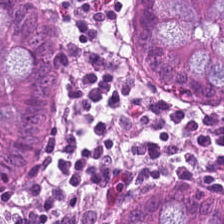FFPE tissue section · H&E stain. This field is non-neoplastic colon mucosa.
